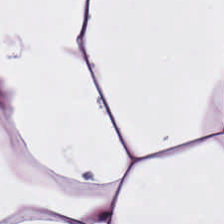Hematoxylin-and-eosin stained section.
Q: What is shown here?
A: It is adipose tissue.
